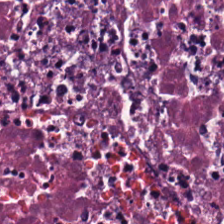Hematoxylin-and-eosin stained section. Q: Identify the tissue.
A: Necrotic debris.
